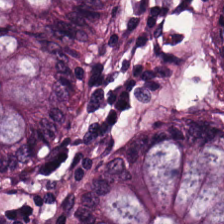Hematoxylin-and-eosin stained section.
Histology → normal colonic mucosa.
